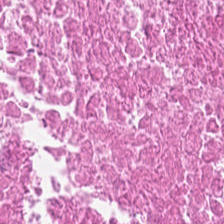224×224 px patch · H&E.
This field is debris.
